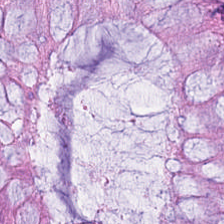224×224 pixel tile. H&E stain. The predominant tissue is normal colonic mucosa.
